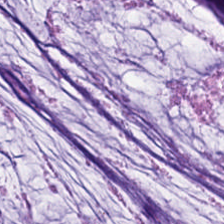224×224 px patch · FFPE tissue section · H&E-stained tissue section. Tissue class — mucin.
